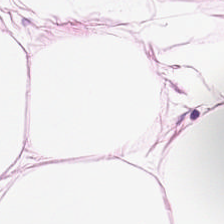This field is adipose.
